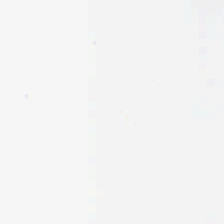H&E stain — Background — no tissue in this field.
